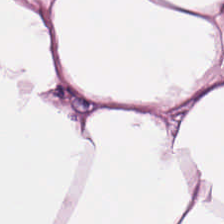Formalin-fixed paraffin-embedded section; H&E-stained tissue section — Adipose.
